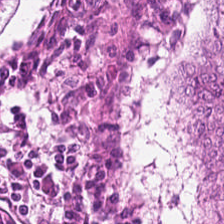Hematoxylin-and-eosin stained section. Whole-slide-image patch. 224×224 px tile — Adenocarcinoma.
